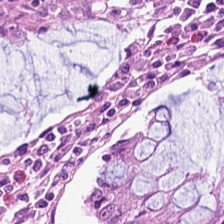Hematoxylin and eosin. This patch shows normal colon mucosa.
